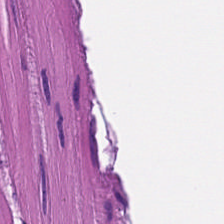Hematoxylin-and-eosin stained section — This field is smooth-muscle tissue.
